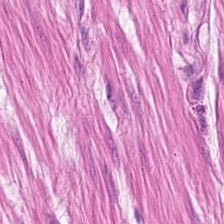H&E · WSI patch.
This patch shows smooth-muscle tissue.
